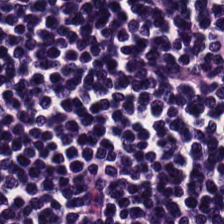Stain: H&E.
Preparation: FFPE tissue section.
Acquisition: whole-slide-image patch.
Classification: lymphocytes.
